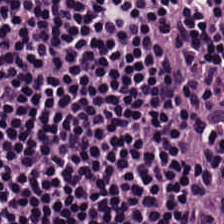Hematoxylin-and-eosin stained section.
The predominant tissue is lymphoid infiltrate.
